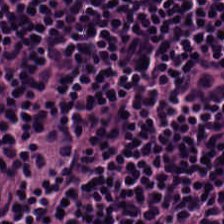224×224 px tile · hematoxylin and eosin.
This patch shows lymphoid infiltrate.
